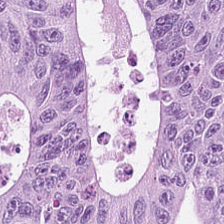Hematoxylin and eosin · FFPE.
Showing colorectal adenocarcinoma.
